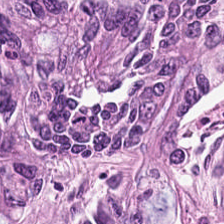Stain: hematoxylin-and-eosin stained section.
Tissue: colorectal adenocarcinoma epithelium.
